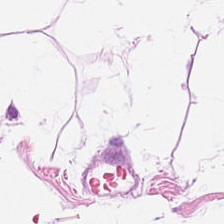0.5 µm/px; 224×224 px tile; H&E stain — Predominantly adipose.
